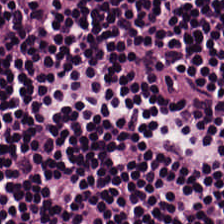Hematoxylin-and-eosin stained section — Predominantly lymphocyte aggregate.
